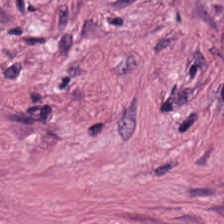Formalin-fixed paraffin-embedded section. Brightfield. H&E stain. Impression → tumor-associated stroma.
